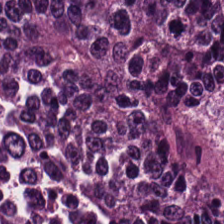Stain: hematoxylin-and-eosin stained section.
Tissue: tumor epithelium.
